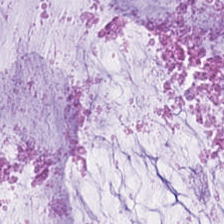224×224 px patch. H&E stain. Q: What is shown here?
A: The field shows mucus.
